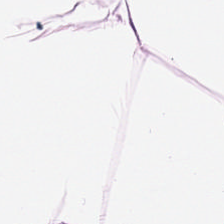Q: What does this patch show?
A: Adipose tissue.
